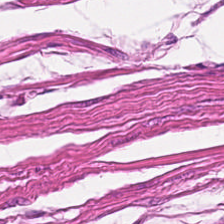224×224 pixel tile. H&E-stained tissue section. FFPE. Smooth-muscle tissue.
